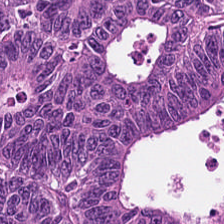Q: What is shown in this field?
A: It is colorectal adenocarcinoma epithelium.
